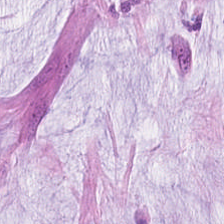H&E stain · brightfield microscopy.
Q: What tissue is shown?
A: The field shows mucin.
